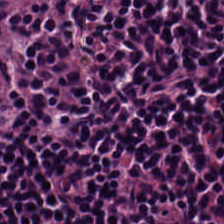{"tissue_type": "lymphocyte aggregate"}
